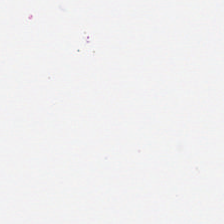Hematoxylin and eosin · 0.5 µm per pixel · 224×224 px patch.
No tissue present; background only.
